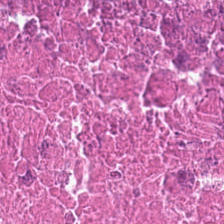FFPE · hematoxylin and eosin · 0.5 microns per pixel.
Q: What tissue type is shown here?
A: Cellular debris.
